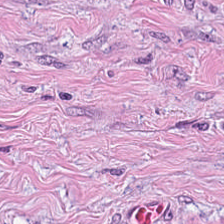Stain: H&E.
Predominant tissue: desmoplastic stroma.
